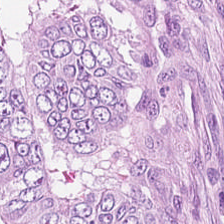H&E stain. {"tissue_type": "adenocarcinoma"}
